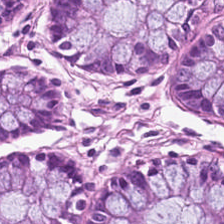H&E patch showing normal colonic mucosa.
